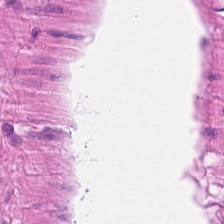H&E. Q: What is shown here?
A: It is muscularis.
